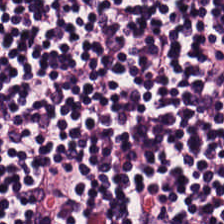Hematoxylin and eosin. Tissue type = lymphoid infiltrate.
